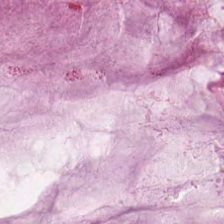H&E-stained tissue section showing mucus.
